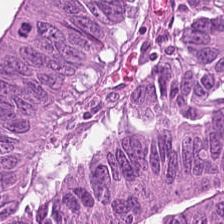{"tissue_type": "colorectal adenocarcinoma"}
